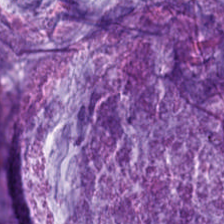FFPE · 224×224 pixel tile · hematoxylin and eosin — Q: What tissue type is shown here?
A: This is mucin.
